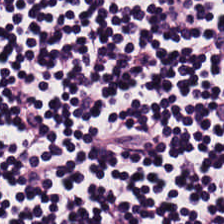H&E-stained tissue section.
Tissue class — lymphocytic infiltrate.
